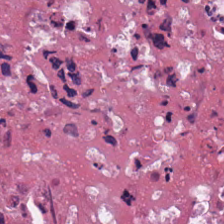Stain: hematoxylin-and-eosin stained section.
Acquisition: brightfield microscopy.
Preparation: FFPE.
Tissue class: debris.
